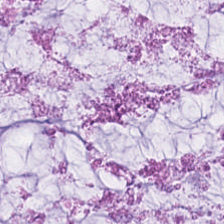Hematoxylin and eosin · 0.5 µm per pixel — Q: What type of tissue is this?
A: It is mucin.
